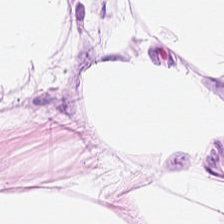H&E.
Adipocytes.
